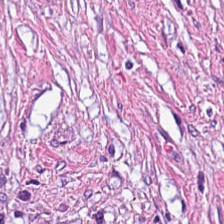224×224 pixel tile; FFPE tissue section; H&E.
Finding → desmoplastic stroma.
